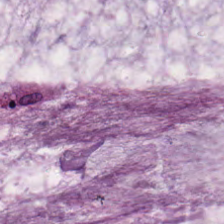Hematoxylin-and-eosin stained section. 224×224 px tile. 0.5 microns per pixel.
The tissue class is mucin.
